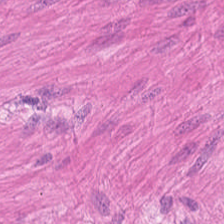H&E stain · 0.5 microns per pixel · whole-slide-image patch — {"tissue_type": "smooth muscle"}
